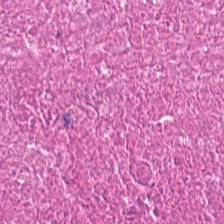Hematoxylin-and-eosin stained section. The tissue here is debris.
